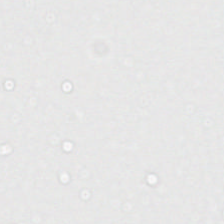Background — no tissue in this field.
